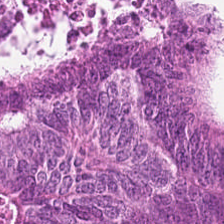Hematoxylin and eosin · whole-slide-image patch · FFPE. Predominantly adenocarcinoma.
